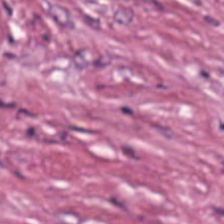224×224 px patch. H&E stain.
Impression → cancer-associated stroma.
